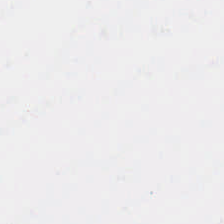Hematoxylin and eosin.
Empty field — background.
